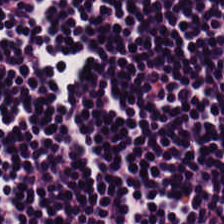Whole-slide-image patch; H&E-stained tissue section; 20× equivalent magnification — Q: Identify the tissue.
A: The field shows lymphocyte aggregate.
